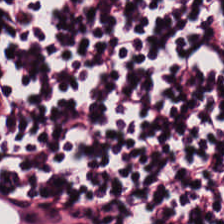Q: What is the predominant tissue type?
A: Lymphocytes.
